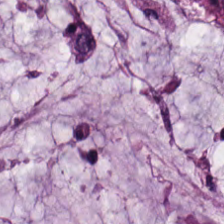20× equivalent magnification; brightfield; H&E-stained tissue section — The tissue here is extracellular mucin.
